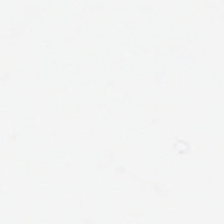No tissue present; background only.
